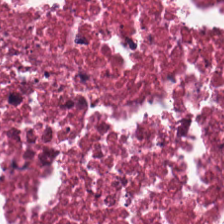H&E. Predominant tissue — necrotic debris.
